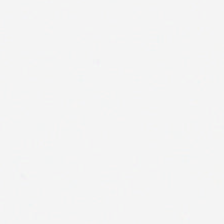Hematoxylin-and-eosin stained section. Formalin-fixed paraffin-embedded section — This patch shows no tissue.
